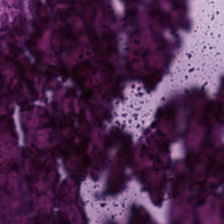H&E-stained tissue section showing cellular debris.
